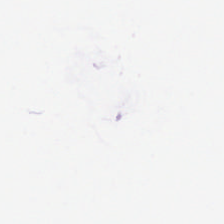Stain: H&E stain.
Resolution: 0.5 microns per pixel.
Content: background (no tissue).
